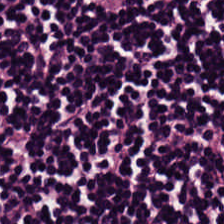Hematoxylin and eosin; brightfield microscopy.
Showing lymphocyte aggregate.
